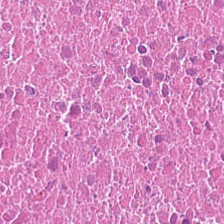Formalin-fixed paraffin-embedded section. Hematoxylin and eosin. Classification: debris.
